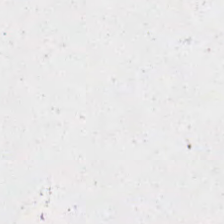Stain: H&E-stained tissue section.
Field content: background.
